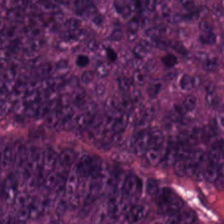FFPE. H&E stain.
The tissue here is malignant epithelium.
